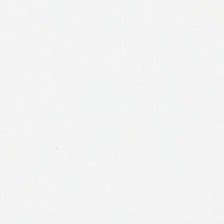H&E stain · formalin-fixed paraffin-embedded section. Q: What does this patch show?
A: This is empty background.
